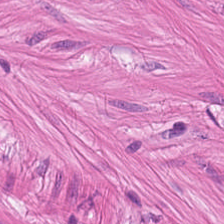Histology → smooth-muscle tissue.
